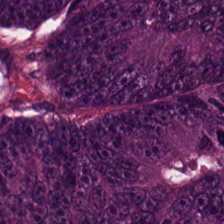FFPE tissue section; H&E-stained tissue section. {"tissue_type": "adenocarcinoma"}
